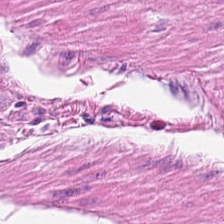Hematoxylin and eosin. Brightfield microscopy. Classification: muscularis.
